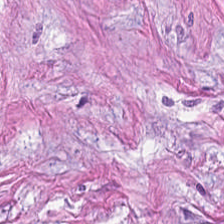FFPE. H&E stain. 224×224 px patch — The predominant tissue is tumor stroma.
